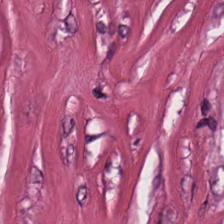0.5 microns per pixel; H&E; WSI patch — This patch shows tumor stroma.
